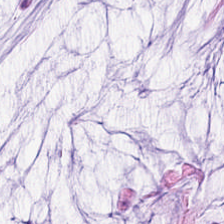Mucus.
